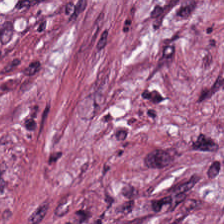FFPE · H&E stain · WSI patch — The tissue here is tumor-associated stroma.
